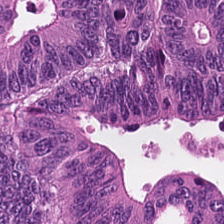H&E stain. The tissue here is tumor epithelium.
